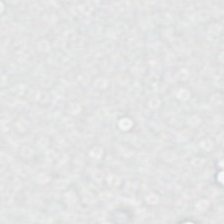0.5 µm/px · H&E stain. {"content": "empty background"}
